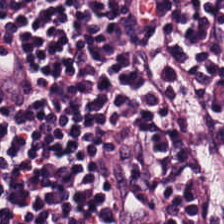Stain: H&E-stained tissue section.
Tissue: lymphocyte aggregate.
